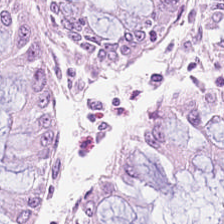Q: Classify this patch.
A: It is normal colon mucosa.
